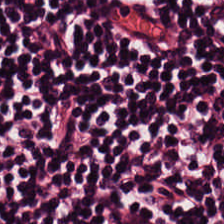Hematoxylin and eosin. FFPE. Q: Identify the tissue.
A: It is lymphocyte aggregate.
